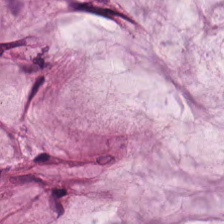20× equivalent magnification · 224×224 px patch · H&E — Q: Identify the tissue.
A: This is extracellular mucin.
